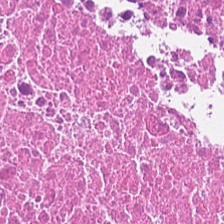H&E. Q: What tissue is shown?
A: It is necrotic debris.
